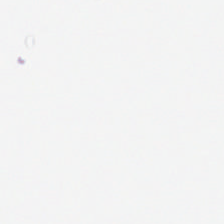Hematoxylin-and-eosin stained section.
Finding → background.
